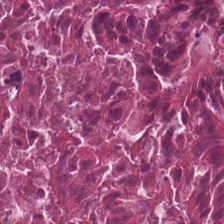Impression → necrotic debris.
